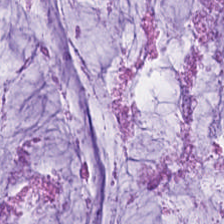H&E-stained tissue section — The predominant tissue is mucus.
